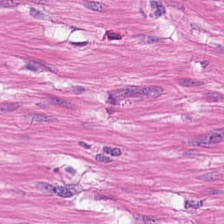H&E-stained tissue section.
Q: What tissue is shown?
A: This is smooth-muscle tissue.
